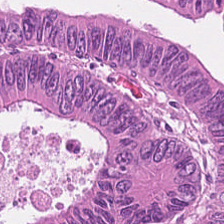H&E stain.
Classification = colorectal adenocarcinoma epithelium.
